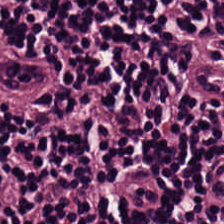Impression — lymphocytes.
